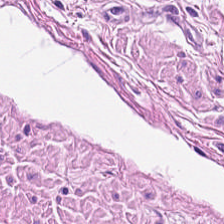WSI patch · H&E stain — Tissue type = smooth muscle.
